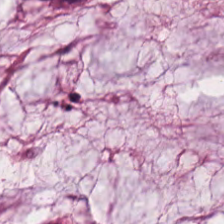H&E stain. 224×224 px patch. This field is mucin.
